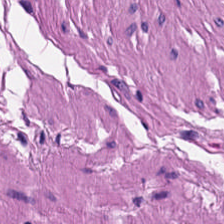Hematoxylin and eosin · 0.5 µm/px. The predominant tissue is smooth muscle.
